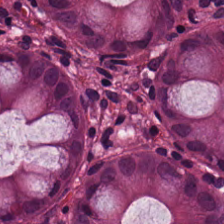Classification = benign colonic mucosa.
